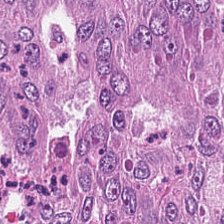Hematoxylin and eosin.
Histology — tumor epithelium.
